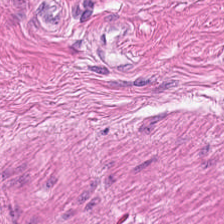H&E. Histology — muscularis.
